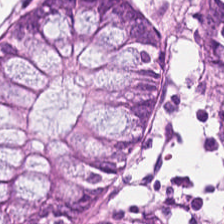H&E-stained tissue section. The tissue here is non-neoplastic colon mucosa.
